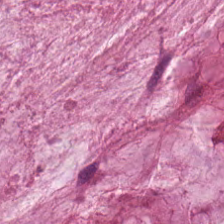H&E-stained tissue section — Classification: mucus.
